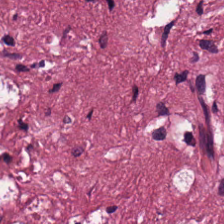H&E.
Showing desmoplastic stroma.
